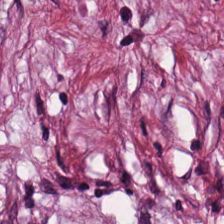H&E-stained tissue section.
Q: Classify this patch.
A: The field shows tumor stroma.
